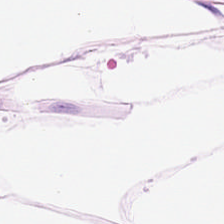H&E-stained tissue section — Histology → adipocytes.
